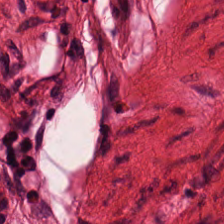WSI patch · hematoxylin-and-eosin stained section — Q: What tissue is shown?
A: The field shows muscularis.
